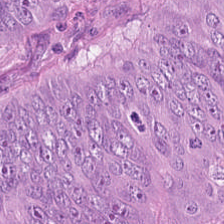Brightfield microscopy · H&E-stained tissue section · 224×224 pixel tile — Tumor epithelium.
